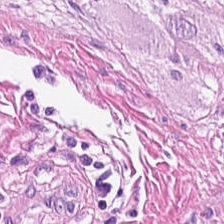{"tissue_type": "smooth-muscle tissue"}
